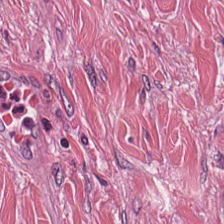Tissue class = tumor-associated stroma.
